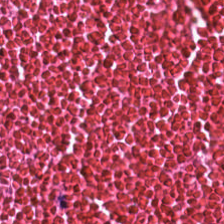H&E-stained tissue section. 20× equivalent magnification. Whole-slide-image patch. Q: What does this patch show?
A: The field shows cellular debris.
